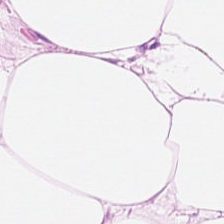20× equivalent magnification. H&E stain — The tissue here is adipocytes.
